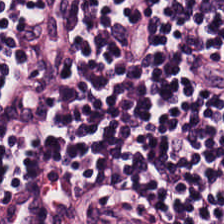H&E stain. 20× equivalent magnification — This field is lymphocytic infiltrate.
